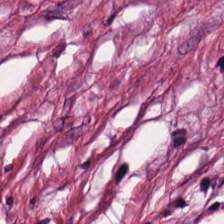Hematoxylin and eosin. This patch shows desmoplastic stroma.
